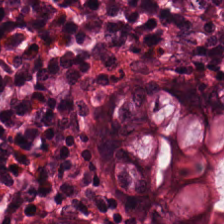Hematoxylin-and-eosin stained section.
Classification = normal colon mucosa.
